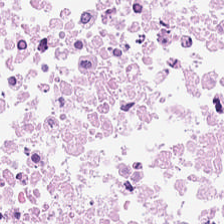Whole-slide-image patch. Hematoxylin-and-eosin stained section — Q: What type of tissue is this?
A: This is necrotic debris.
